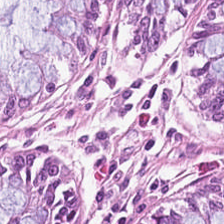20× equivalent magnification. Hematoxylin and eosin.
The predominant tissue is non-neoplastic colon mucosa.
